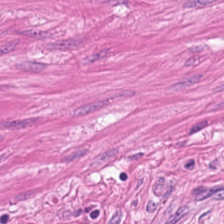Tissue class — muscularis.
